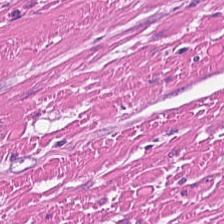224×224 px tile. Hematoxylin-and-eosin stained section. 0.5 µm/px. Predominantly smooth-muscle tissue.
